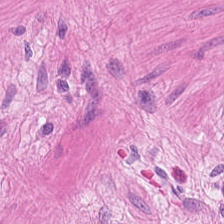Showing smooth-muscle tissue.
